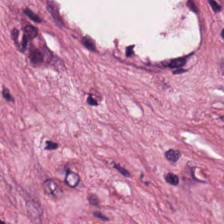H&E-stained tissue section.
Predominant tissue: desmoplastic stroma.
